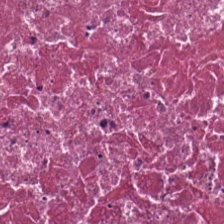H&E; brightfield; 0.5 microns per pixel — Tissue class = necrotic debris.
